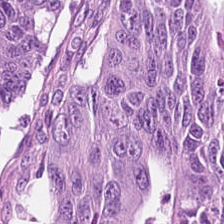H&E stain · 224×224 pixel tile — This field is colorectal adenocarcinoma epithelium.
